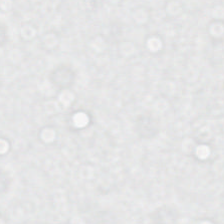H&E-stained tissue section — Q: What does this patch show?
A: This is no tissue.
